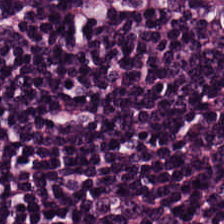224×224 px patch · hematoxylin and eosin · formalin-fixed paraffin-embedded section.
Showing lymphocytic infiltrate.
